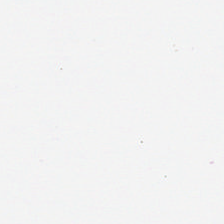Stain: hematoxylin and eosin.
Field content: background.
